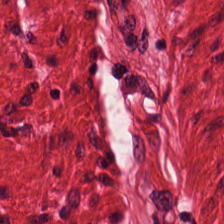The classification is smooth muscle.
